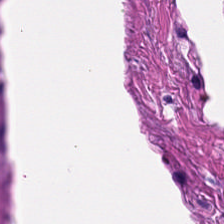H&E; 0.5 microns per pixel. Q: Identify the tissue.
A: It is muscularis.
